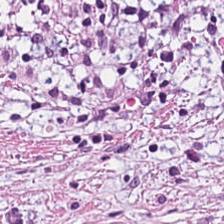The tissue is tumor-associated stroma.
